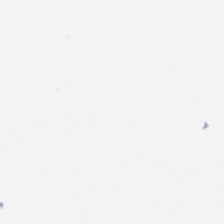Hematoxylin and eosin.
Classification = empty background.
